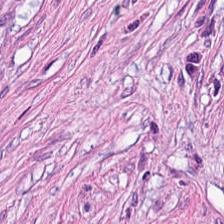Predominantly desmoplastic stroma.
